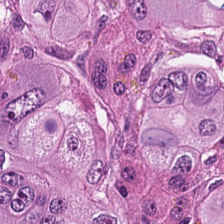Predominant tissue — colorectal adenocarcinoma epithelium.
